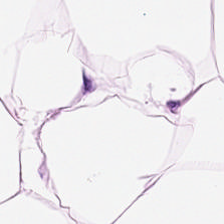H&E.
{"tissue_type": "fat tissue"}
